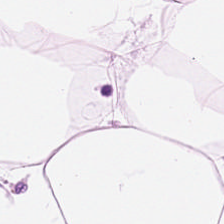H&E; 224×224 px patch.
Predominantly adipose.
